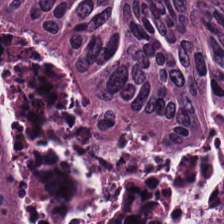Malignant epithelium.
